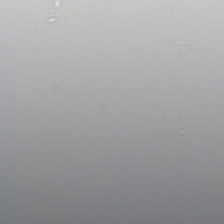H&E; 20× equivalent magnification. Classification = background (no tissue).
